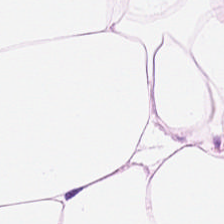Hematoxylin and eosin; brightfield; 0.5 µm per pixel.
The predominant tissue is fat tissue.
